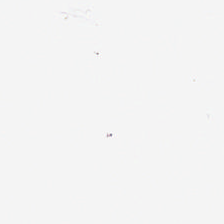H&E-stained tissue section. Brightfield.
This field is background (no tissue).
